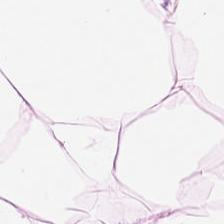H&E stain. Predominant tissue = adipocytes.
